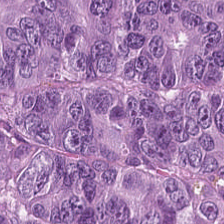20× equivalent magnification · H&E stain.
Tissue type: colorectal adenocarcinoma.
